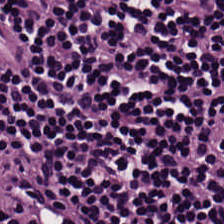224×224 px tile. Brightfield. H&E-stained tissue section — This patch shows lymphocytes.
